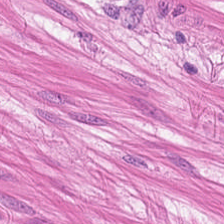H&E stain.
Predominant tissue — smooth-muscle tissue.
